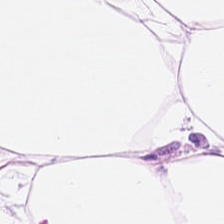0.5 microns per pixel · 224×224 px patch · hematoxylin and eosin — Histology → adipose tissue.
